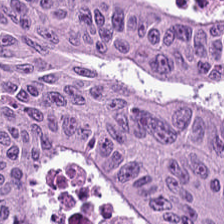H&E. 224×224 px tile — Tissue type — tumor epithelium.
